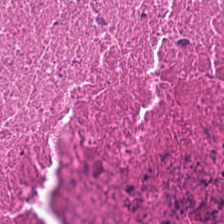H&E. Necrotic debris.
